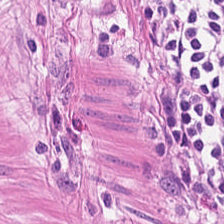{"tissue_type": "smooth-muscle tissue"}
